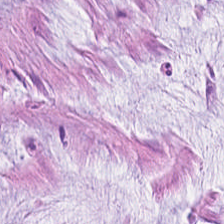0.5 microns per pixel; H&E-stained tissue section — Showing mucin.
